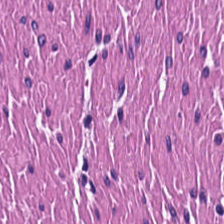Hematoxylin-and-eosin stained section; FFPE tissue section.
Tissue type: muscularis.
